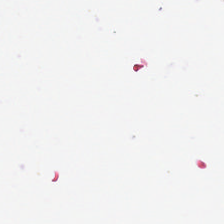FFPE tissue section · hematoxylin and eosin — This field is background (no tissue).
